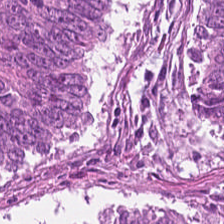The tissue here is colorectal adenocarcinoma epithelium.
